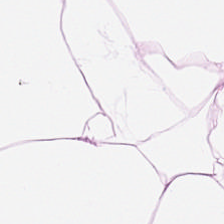224×224 pixel tile. 0.5 µm per pixel. Hematoxylin and eosin. Predominantly adipose.
